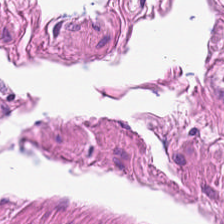Hematoxylin-and-eosin stained section; FFPE — Predominantly smooth muscle.
